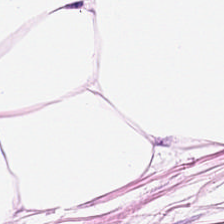The tissue is fat tissue.
